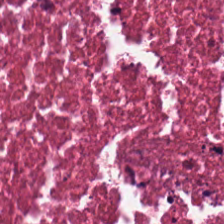Histology → necrotic debris.
